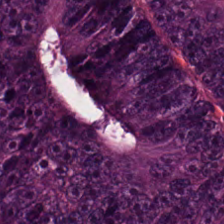Classification — colorectal adenocarcinoma epithelium.
